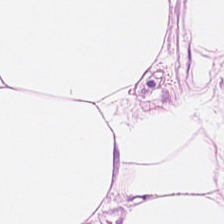H&E-stained tissue section. Predominantly adipocytes.
